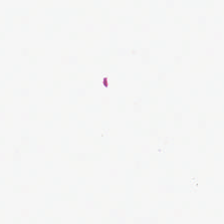Content = background (no tissue).
